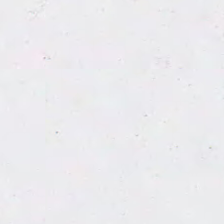{"content": "background (no tissue)"}
